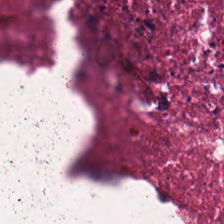224×224 px tile · hematoxylin-and-eosin stained section.
Finding → necrotic debris.
